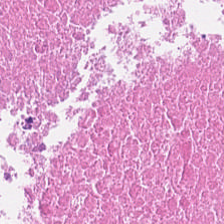Whole-slide-image patch. Formalin-fixed paraffin-embedded section. H&E-stained tissue section. Showing cellular debris.
